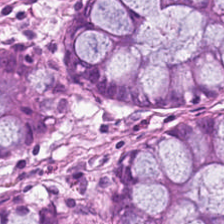FFPE. H&E-stained tissue section — The tissue class is normal colon mucosa.
